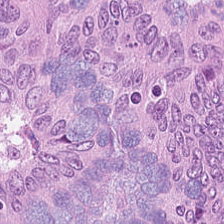Hematoxylin-and-eosin stained section. The predominant tissue is colorectal adenocarcinoma.
